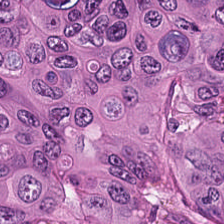Hematoxylin-and-eosin stained section.
The tissue class is malignant epithelium.
